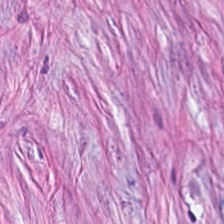Tissue — tumor-associated stroma.
